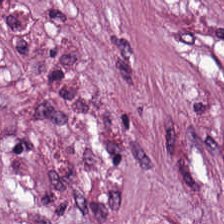Formalin-fixed paraffin-embedded section; hematoxylin and eosin — Showing tumor stroma.
